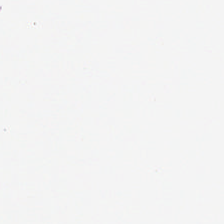No tissue present; background only.
